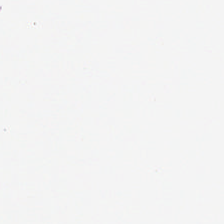No tissue present; background only.
